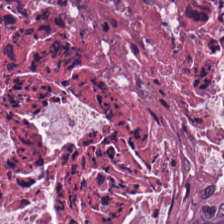Tissue — necrotic debris.
